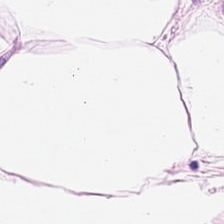Q: Identify the tissue.
A: This is adipose.
